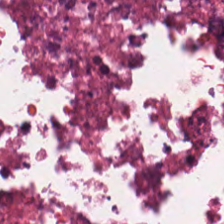Stain: H&E-stained tissue section.
Preparation: FFPE tissue section.
Acquisition: WSI patch.
Tissue: cellular debris.
